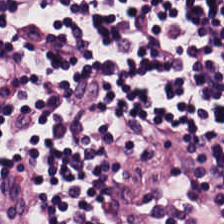Hematoxylin-and-eosin stained section · FFPE — Impression → lymphocyte aggregate.
